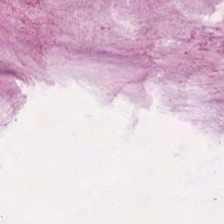0.5 microns per pixel. Hematoxylin and eosin — Showing mucin.
